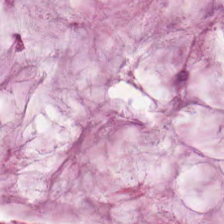Hematoxylin and eosin.
{"tissue_type": "mucus"}
